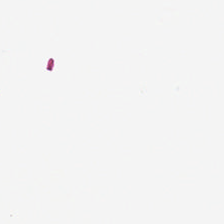The classification is background (no tissue).
